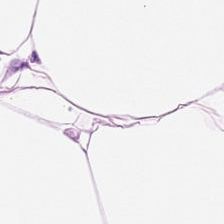Q: What does this patch show?
A: Adipose tissue.
